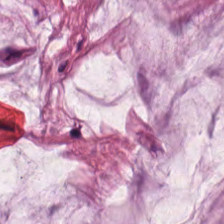H&E — extracellular mucin.
